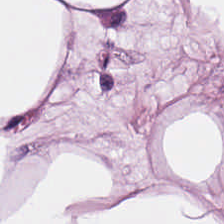Tissue — adipose tissue.
